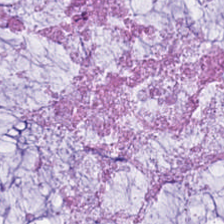H&E stain — This field is mucin.
